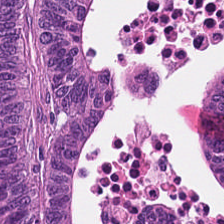FFPE. H&E. Whole-slide-image patch. Q: What does this patch show?
A: Tumor epithelium.
